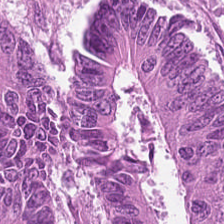Tissue class — adenocarcinoma.
